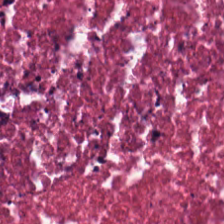H&E-stained tissue section showing necrotic debris.
